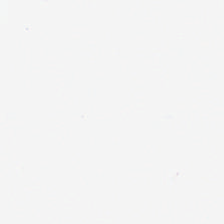This field is background (no tissue).
